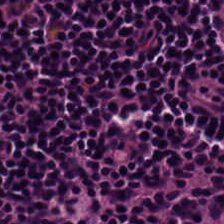Formalin-fixed paraffin-embedded section · hematoxylin and eosin · 20× equivalent magnification.
This field is lymphocyte aggregate.
